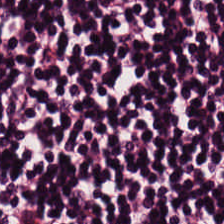Histology — lymphocyte aggregate.
